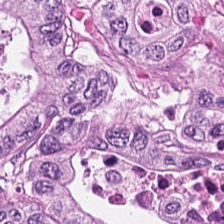H&E stain. Tissue: adenocarcinoma.
